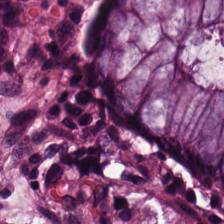The tissue here is benign colonic mucosa.
